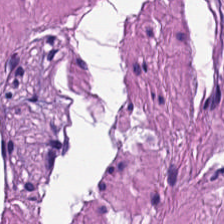224×224 pixel tile; 20× equivalent magnification; hematoxylin-and-eosin stained section.
This patch shows muscularis.
